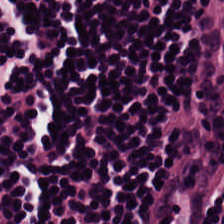Hematoxylin-and-eosin stained section.
Q: Identify the tissue.
A: The field shows lymphocytes.
